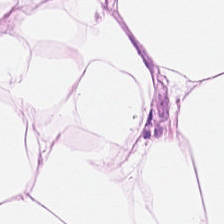FFPE · hematoxylin-and-eosin stained section. Classification: adipocytes.
